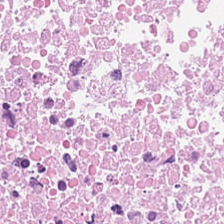H&E-stained tissue section; brightfield; 0.5 microns per pixel. The tissue here is cellular debris.
